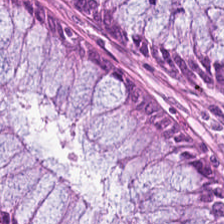Hematoxylin-and-eosin stained section; FFPE tissue section.
Tissue = normal colonic mucosa.
